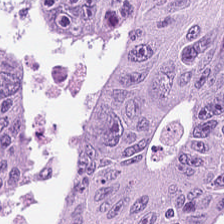H&E — Q: What is shown here?
A: Malignant epithelium.
